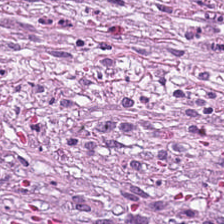H&E-stained tissue section — Histology — tumor-associated stroma.
